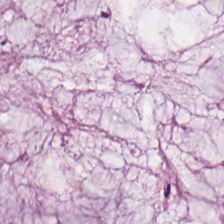Extracellular mucin.
